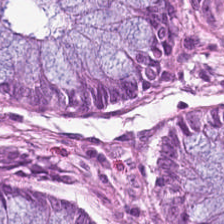Stain: H&E stain.
Tissue: benign colonic mucosa.
